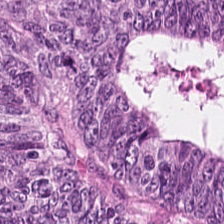Stain: H&E stain.
Classification: colorectal adenocarcinoma.
